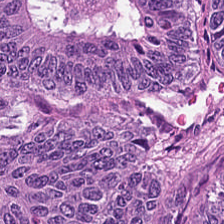Hematoxylin and eosin.
The tissue here is adenocarcinoma.
